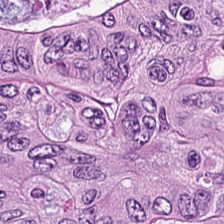224×224 px patch; H&E-stained tissue section.
Showing malignant epithelium.
